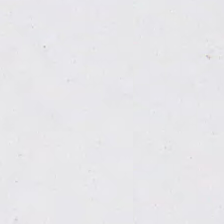Hematoxylin and eosin — Impression → background (no tissue).
